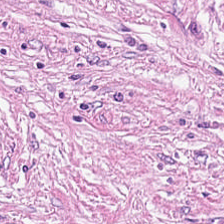H&E. The predominant tissue is desmoplastic stroma.
